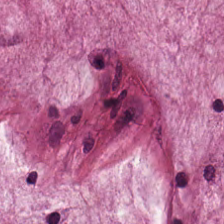Brightfield microscopy; hematoxylin and eosin. Showing mucin.
